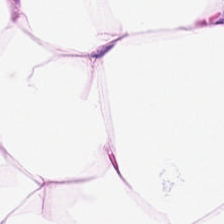Histology — adipose.
